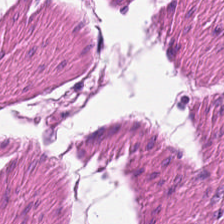H&E stain.
This field is smooth-muscle tissue.
